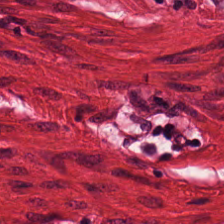H&E-stained tissue section.
This patch shows smooth muscle.
